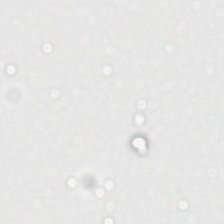224×224 pixel tile. Hematoxylin and eosin. Content = no tissue.
